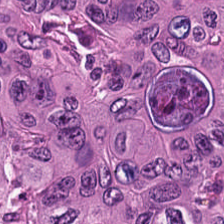Hematoxylin-and-eosin stained section — Q: What tissue is shown?
A: The field shows malignant epithelium.
